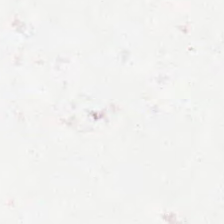H&E stain. Field content — no tissue.
